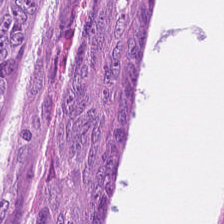FFPE tissue section · hematoxylin and eosin. Tumor epithelium.
